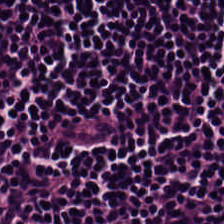Stain: hematoxylin and eosin.
Classification: lymphoid infiltrate.
